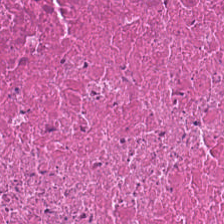H&E-stained tissue section. 20× equivalent magnification. The tissue class is necrotic debris.
